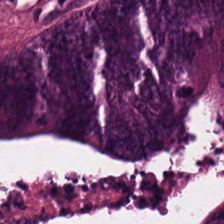Stain: H&E-stained tissue section.
Predominant tissue: colorectal adenocarcinoma.
